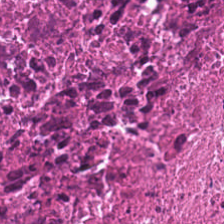H&E. Q: Classify this patch.
A: It is cellular debris.
